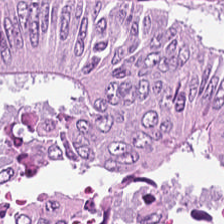Adenocarcinoma.
